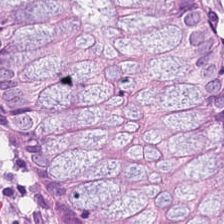Tissue: normal colon mucosa.
